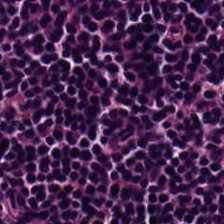H&E stain. Q: What does this patch show?
A: This is lymphocyte aggregate.
